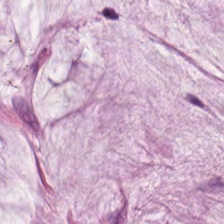H&E stain — Tissue = mucin.
